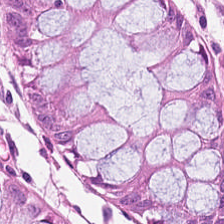Stain: hematoxylin and eosin.
Tissue: normal colonic mucosa.
